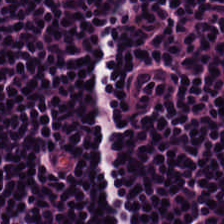0.5 microns per pixel; H&E stain.
Finding — lymphocyte aggregate.
